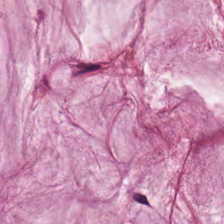H&E-stained tissue section · 0.5 microns per pixel — Tissue type — extracellular mucin.
